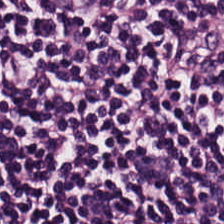Hematoxylin-and-eosin stained section · 0.5 µm per pixel. Impression — lymphocyte aggregate.
